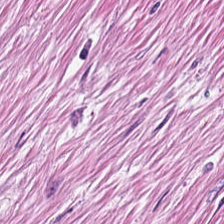Stain: hematoxylin-and-eosin stained section.
Tissue type: desmoplastic stroma.
